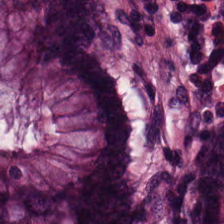0.5 µm/px; brightfield microscopy; hematoxylin and eosin.
Normal colonic mucosa.
